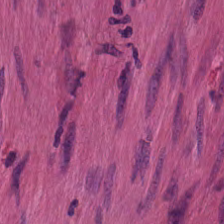Stain: hematoxylin and eosin.
Predominant tissue: muscularis.
